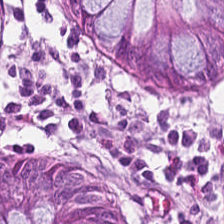H&E. Brightfield microscopy — Predominant tissue — normal colon mucosa.
